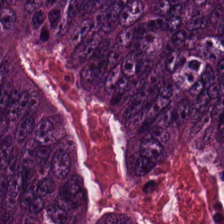Brightfield; hematoxylin-and-eosin stained section.
The tissue here is colorectal adenocarcinoma epithelium.
